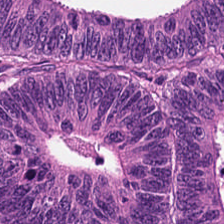H&E — adenocarcinoma.
